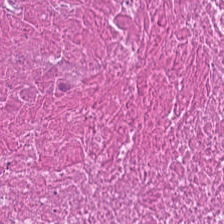H&E-stained tissue section. The tissue is debris.
